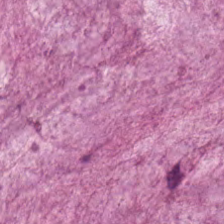H&E-stained tissue section. Q: What type of tissue is this?
A: Mucin.
